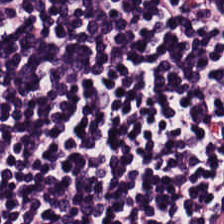Hematoxylin-and-eosin stained section. Q: What type of tissue is this?
A: This is lymphocytes.
